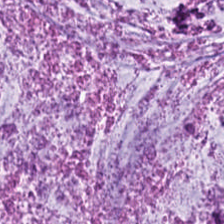H&E stain · whole-slide-image patch — Extracellular mucin.
